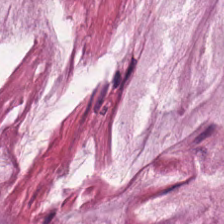Brightfield; hematoxylin-and-eosin stained section. Q: What tissue type is shown here?
A: This is mucus.
